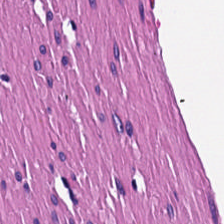The predominant tissue is muscularis.
